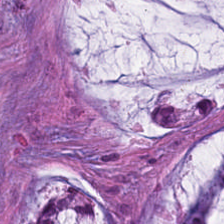Stain: hematoxylin and eosin.
Acquisition: whole-slide-image patch.
Tissue class: mucus.
